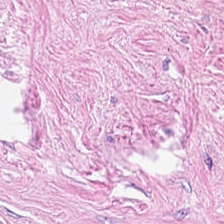Tissue type = desmoplastic stroma.
